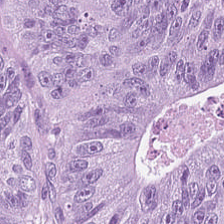224×224 px tile. H&E-stained tissue section — Tissue class — adenocarcinoma.
